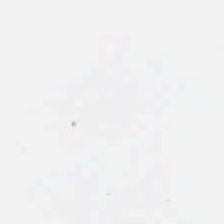Hematoxylin-and-eosin stained section.
This patch shows background (no tissue).
